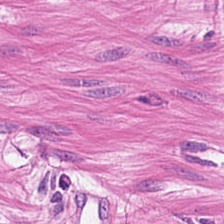H&E stain — Q: What is shown in this field?
A: The field shows muscularis.
